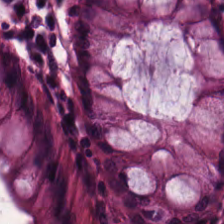Stain: hematoxylin-and-eosin stained section.
Preparation: FFPE.
Predominant tissue: non-neoplastic colon mucosa.
